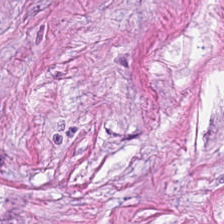This field is tumor-associated stroma.
